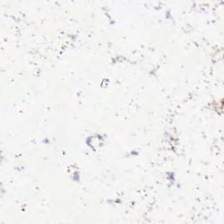H&E — Classification = background.
